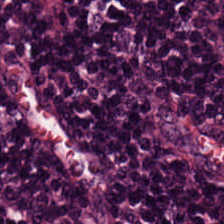H&E patch showing lymphocytes.
